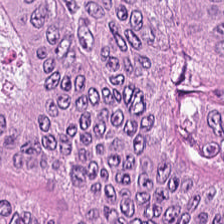Stain: hematoxylin and eosin.
Tissue class: adenocarcinoma.
